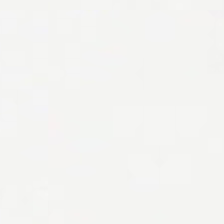Stain: H&E.
Acquisition: brightfield.
Classification: no tissue.
